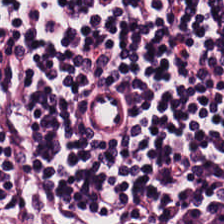Stain: H&E stain.
Classification: lymphocytes.
